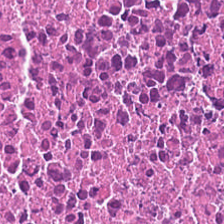Hematoxylin-and-eosin stained section.
Tissue type — necrotic debris.
